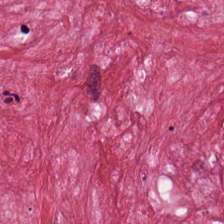H&E — Showing cancer-associated stroma.
